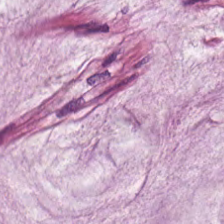Tissue class: mucus.
